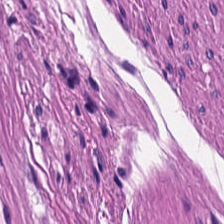Impression → muscularis.
